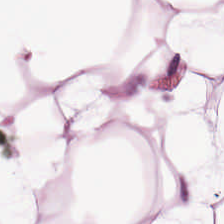Predominantly adipose tissue.
